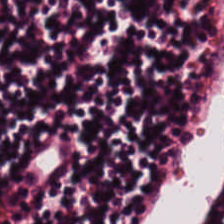H&E.
The classification is lymphocytic infiltrate.
